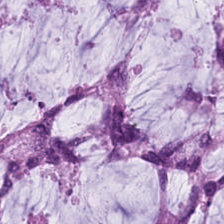H&E · brightfield microscopy. This field is mucus.
